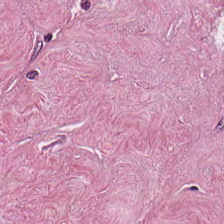Stain: H&E.
Tissue: desmoplastic stroma.
